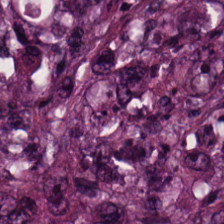Hematoxylin and eosin. 224×224 px patch. FFPE tissue section — Impression → colorectal adenocarcinoma epithelium.
